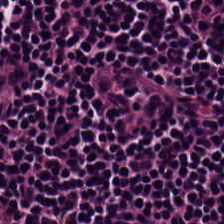0.5 µm per pixel; H&E-stained tissue section.
Classification — lymphocytic infiltrate.
